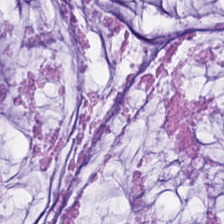H&E. 224×224 px patch — Showing mucus.
